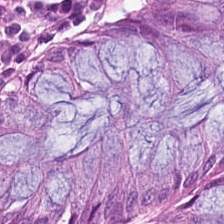H&E stain — Benign colonic mucosa.
